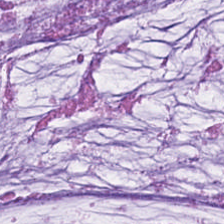H&E-stained tissue section. Whole-slide-image patch. 0.5 µm per pixel — The classification is extracellular mucin.
